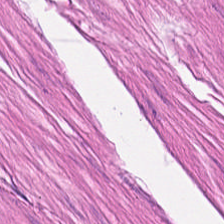H&E-stained tissue section — Tissue — muscularis.
